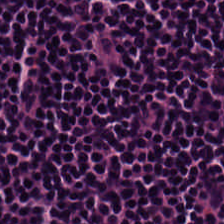Hematoxylin-and-eosin stained section.
This field is lymphoid infiltrate.
